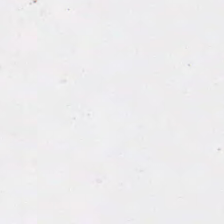FFPE · hematoxylin-and-eosin stained section.
This field is background (no tissue).
